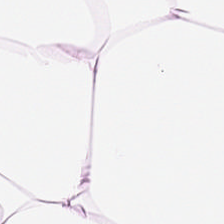Q: What is the predominant tissue type?
A: It is adipose.
